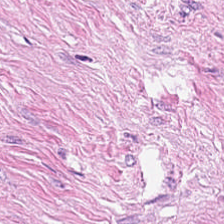H&E patch showing tumor-associated stroma.
